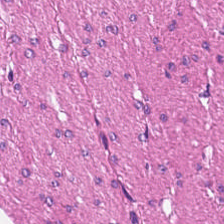H&E stain. 0.5 µm/px. 224×224 pixel tile. The tissue here is smooth muscle.
